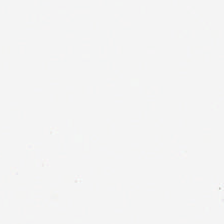Stain: hematoxylin-and-eosin stained section.
Field content: empty background.
